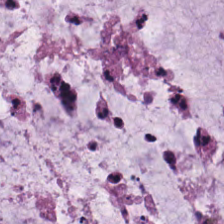The tissue class is mucin.
